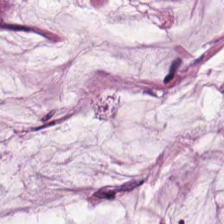Tissue = extracellular mucin.
